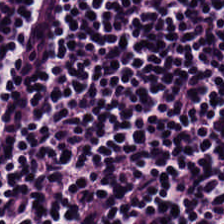FFPE tissue section. H&E-stained tissue section. Whole-slide-image patch. This patch shows lymphocytic infiltrate.
